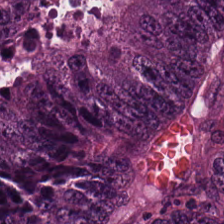H&E · FFPE tissue section.
Predominantly colorectal adenocarcinoma epithelium.
